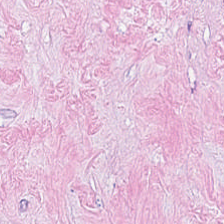Q: What type of tissue is this?
A: Cancer-associated stroma.
